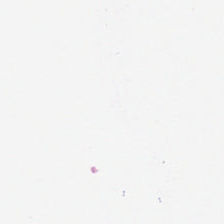Finding → background (no tissue).
